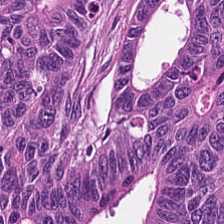H&E stain. Predominant tissue — adenocarcinoma.
